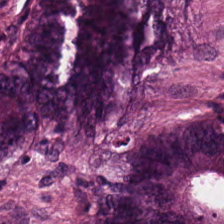H&E; 224×224 px tile.
This patch shows adenocarcinoma.
